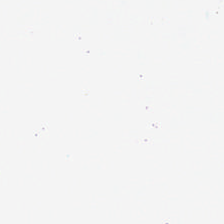H&E.
Q: Classify this patch.
A: It is background.
